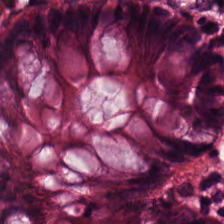Tissue type — benign colonic mucosa.
